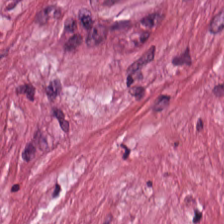Hematoxylin and eosin. The tissue class is cancer-associated stroma.
